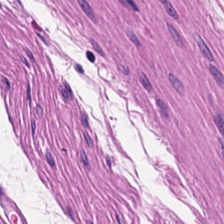H&E-stained tissue section showing muscularis.
